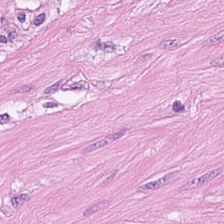Hematoxylin-and-eosin stained section. Q: What does this patch show?
A: This is muscularis.
